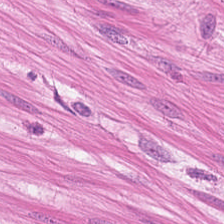Stain: H&E-stained tissue section.
Tissue: muscularis.
